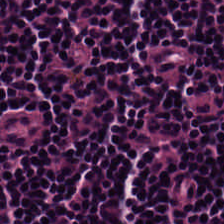Stain: H&E stain.
Classification: lymphocyte aggregate.
